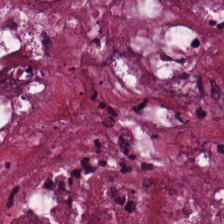Showing cellular debris.
